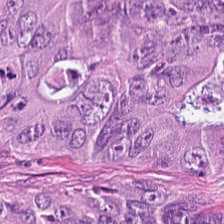FFPE tissue section · H&E stain — Predominant tissue = tumor epithelium.
